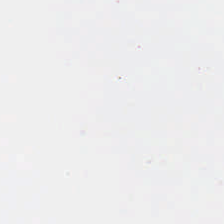Hematoxylin and eosin — Q: What is shown in this field?
A: This is background.
